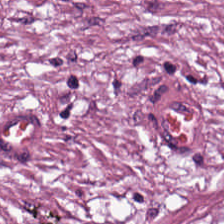Whole-slide-image patch. H&E stain — Tumor stroma.
